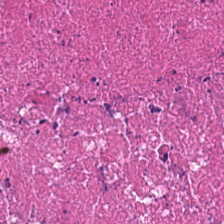224×224 px patch · hematoxylin and eosin. The tissue is necrotic debris.
